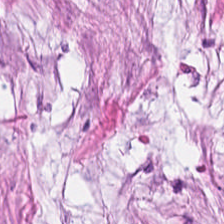Showing cancer-associated stroma.
